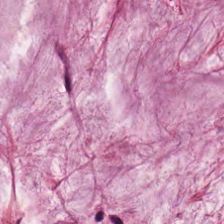H&E — The predominant tissue is mucin.
